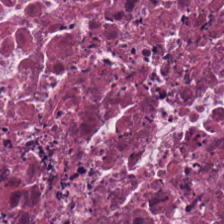FFPE. Hematoxylin and eosin. The tissue here is necrotic debris.
